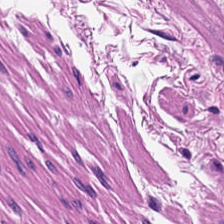H&E. Smooth-muscle tissue.
